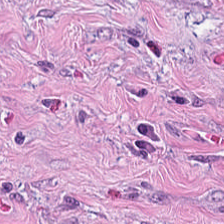H&E-stained section; the field shows cancer-associated stroma.
